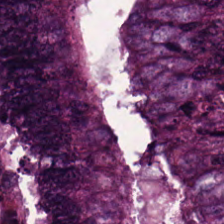Hematoxylin-and-eosin section: adenocarcinoma.
